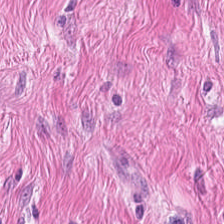Impression — smooth-muscle tissue.
